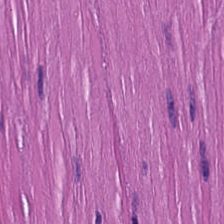H&E. This patch shows smooth muscle.
